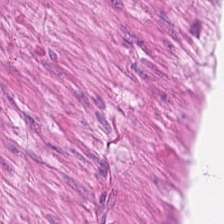Stain: H&E-stained tissue section.
Classification: smooth muscle.
